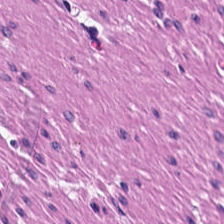Finding — smooth-muscle tissue.
